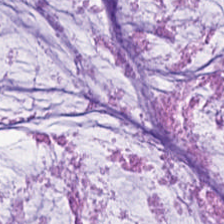H&E — extracellular mucin.
